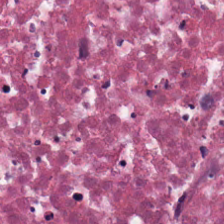H&E stain — Showing cellular debris.
